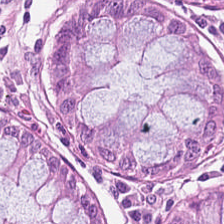H&E. This field is normal colonic mucosa.
